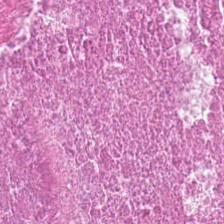Stain: H&E-stained tissue section.
Acquisition: WSI patch.
Tissue: necrotic debris.
